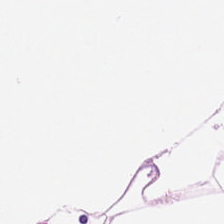H&E.
This patch shows adipocytes.
